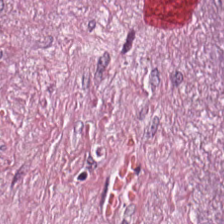H&E stain — The tissue type is desmoplastic stroma.
